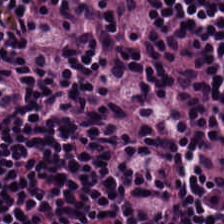H&E. Brightfield — Q: What is shown in this field?
A: This is lymphocytes.
